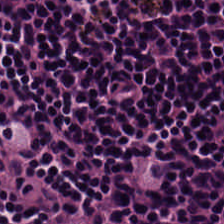H&E.
Tissue — lymphocytes.
